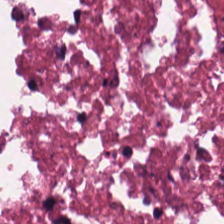Stain: H&E-stained tissue section.
Tile size: 224×224 px tile.
Resolution: 0.5 µm/px.
Classification: necrotic debris.
